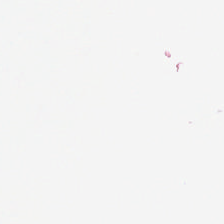Hematoxylin-and-eosin stained section. Field content = background.
